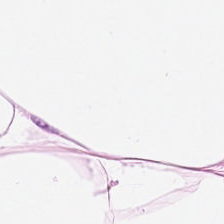FFPE. H&E stain. 0.5 µm/px — Showing adipose.
